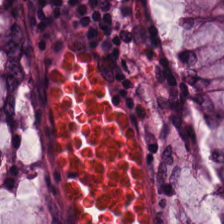H&E-stained tissue section.
Predominantly normal colonic mucosa.
